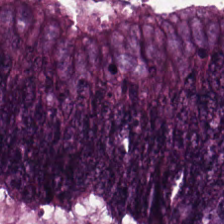Hematoxylin-and-eosin stained section · FFPE — The tissue class is adenocarcinoma.
